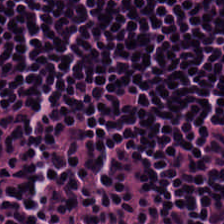H&E. Histology — lymphoid infiltrate.
